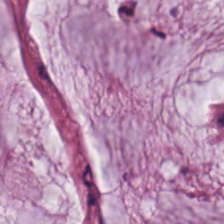FFPE. 0.5 microns per pixel. H&E.
The predominant tissue is extracellular mucin.
